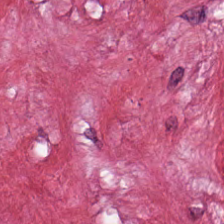Stain: H&E stain.
Tile size: 224×224 px patch.
Tissue class: desmoplastic stroma.
